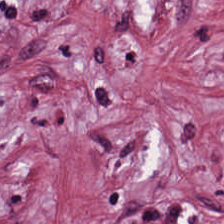H&E · FFPE · brightfield — Q: What is the predominant tissue type?
A: The field shows desmoplastic stroma.
